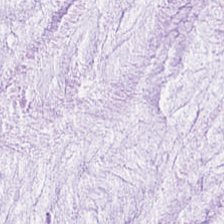Formalin-fixed paraffin-embedded section. Brightfield microscopy. H&E-stained tissue section.
Impression — mucus.
